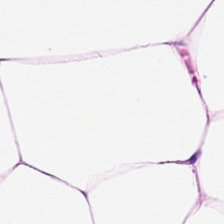Stain: H&E-stained tissue section.
Tissue: adipocytes.
